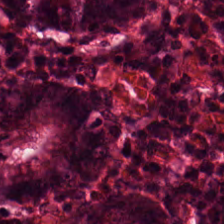H&E stain. Predominant tissue: normal colonic mucosa.
